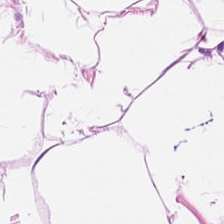224×224 px tile. Hematoxylin and eosin. FFPE. This field is adipose tissue.
